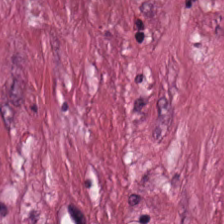{"tissue_type": "cancer-associated stroma"}
